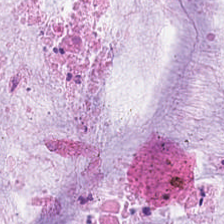WSI patch · H&E-stained tissue section · 0.5 µm per pixel — Finding → extracellular mucin.
